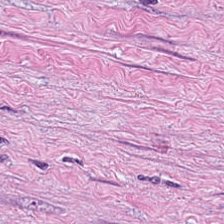Classification = cancer-associated stroma.
